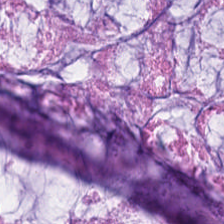0.5 µm/px. H&E. WSI patch. Tissue — extracellular mucin.
